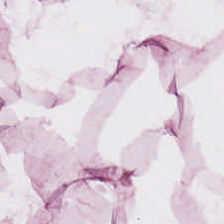The tissue type is adipose tissue.
